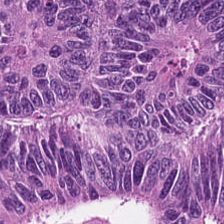Hematoxylin-and-eosin stained section — Histology → malignant epithelium.
